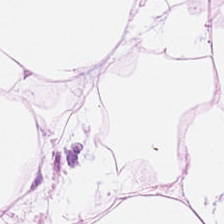H&E-stained tissue section; 0.5 µm per pixel — Q: What does this patch show?
A: The field shows fat tissue.
